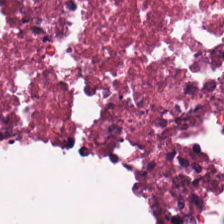Hematoxylin and eosin — {"tissue_type": "debris"}
